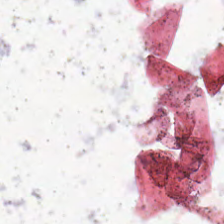224×224 px tile · H&E-stained tissue section. Background — no tissue in this field.
